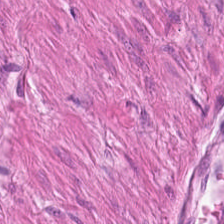Tissue class — smooth-muscle tissue.
